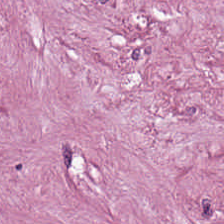H&E stain. The tissue is tumor stroma.
